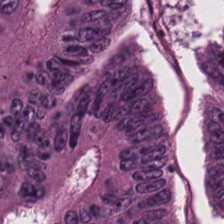224×224 pixel tile; hematoxylin and eosin — Tissue type — colorectal adenocarcinoma.
